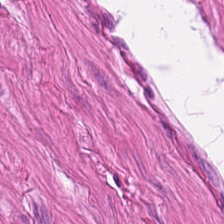224×224 px tile. Hematoxylin-and-eosin stained section. FFPE — {"tissue_type": "smooth muscle"}
